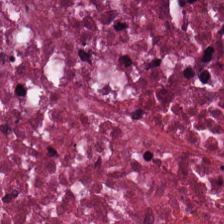224×224 px tile · H&E-stained tissue section. {"tissue_type": "cellular debris"}
